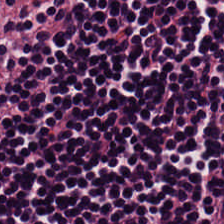Formalin-fixed paraffin-embedded section. 224×224 pixel tile. Hematoxylin-and-eosin stained section.
The tissue here is lymphocytes.
